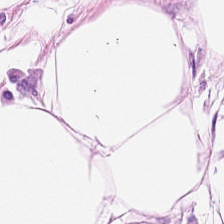FFPE; hematoxylin and eosin — Q: Classify this patch.
A: The field shows adipose tissue.
